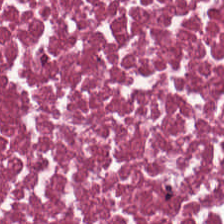Tissue class — necrotic debris.
